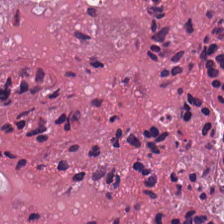H&E — The classification is cellular debris.
